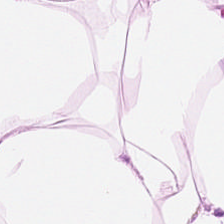H&E stain — The classification is fat tissue.
